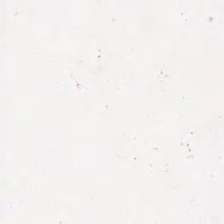Stain: hematoxylin and eosin.
Tissue class: necrotic debris.
